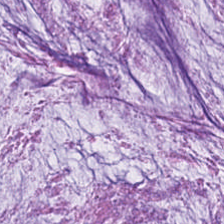Tissue type — mucin.
